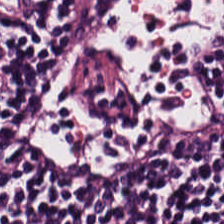H&E-stained tissue section. Q: What is the predominant tissue type?
A: Lymphocyte aggregate.
